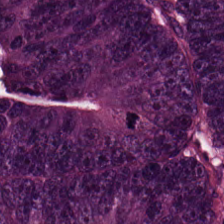H&E. The tissue class is colorectal adenocarcinoma epithelium.
